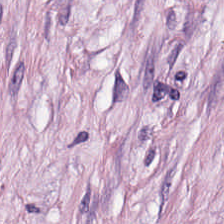Hematoxylin-and-eosin stained section. Predominantly desmoplastic stroma.
